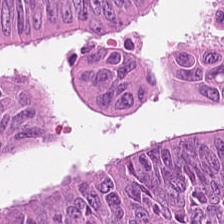Hematoxylin-and-eosin stained section.
Classification = tumor epithelium.
